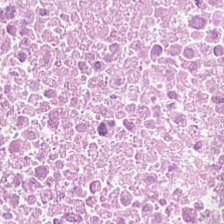Predominantly debris.
